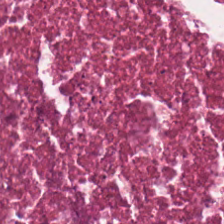Showing debris.
